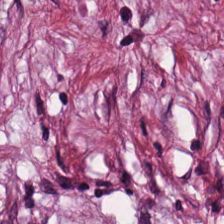Impression → cancer-associated stroma.
